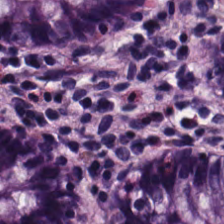H&E-stained tissue section — This field is non-neoplastic colon mucosa.
